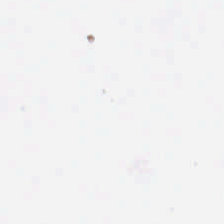Q: What is shown in this field?
A: It is empty background.
